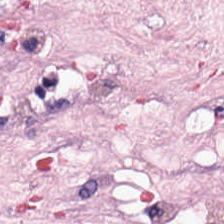H&E stain.
Tissue type: desmoplastic stroma.
